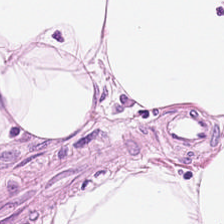H&E-stained tissue section.
Predominantly adipocytes.
